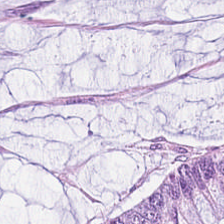WSI patch. Hematoxylin-and-eosin stained section. Formalin-fixed paraffin-embedded section. {"tissue_type": "mucin"}
